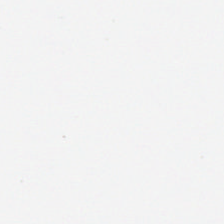Stain: hematoxylin-and-eosin stained section.
Resolution: 0.5 microns per pixel.
Classification: no tissue.
